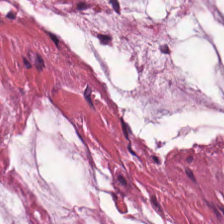H&E-stained tissue section. This field is mucus.
